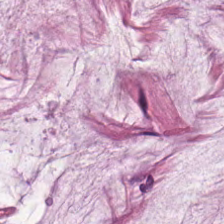H&E stain · 0.5 µm/px · 224×224 px tile.
Predominant tissue: mucus.
